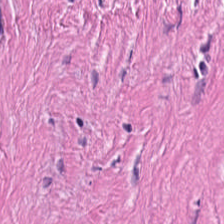FFPE tissue section; H&E-stained tissue section. This patch shows tumor stroma.
